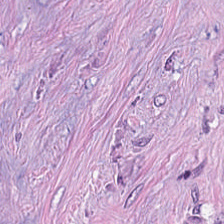Hematoxylin-and-eosin stained section. Formalin-fixed paraffin-embedded section. Brightfield. Classification: tumor-associated stroma.
